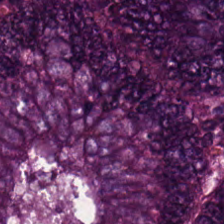Q: What type of tissue is this?
A: Colorectal adenocarcinoma epithelium.
